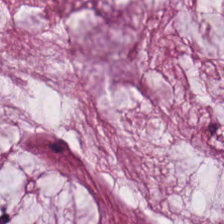H&E. WSI patch.
The classification is mucin.
